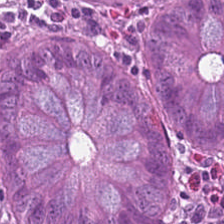H&E-stained tissue section · 20× equivalent magnification — Finding → normal colonic mucosa.
